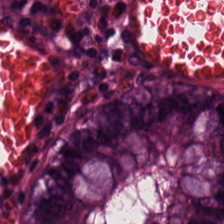Hematoxylin-and-eosin stained section — Predominantly normal colon mucosa.
